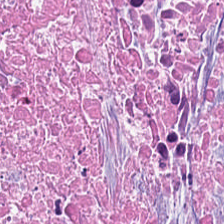Necrotic debris.
